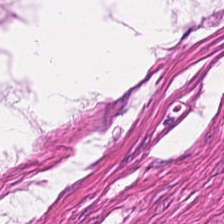Impression — muscularis.
